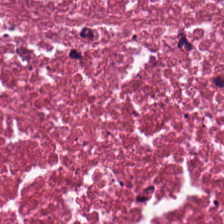Tissue class — debris.
